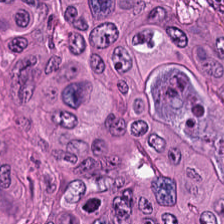0.5 microns per pixel · H&E.
Q: What type of tissue is this?
A: The field shows colorectal adenocarcinoma epithelium.
